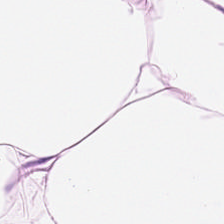H&E-stained tissue section.
The tissue here is adipocytes.
